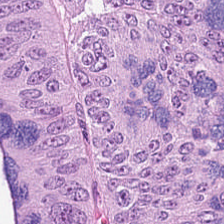224×224 px tile. Hematoxylin-and-eosin stained section. The predominant tissue is colorectal adenocarcinoma epithelium.
